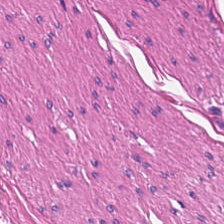Hematoxylin-and-eosin stained section — {"tissue_type": "smooth-muscle tissue"}
